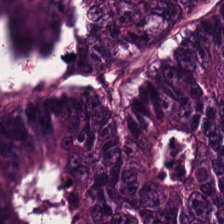H&E stain.
Tissue class: tumor epithelium.
